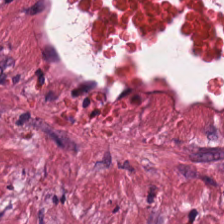Hematoxylin-and-eosin stained section.
Q: What is the predominant tissue type?
A: It is cancer-associated stroma.
